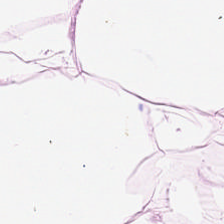WSI patch · hematoxylin and eosin — Impression → adipose.
